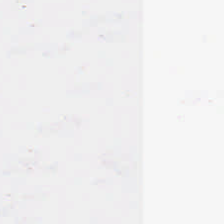H&E stain.
Q: What does this patch show?
A: This is empty background.
